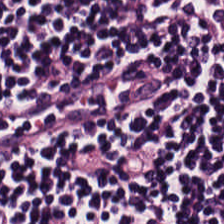H&E-stained tissue section.
Classification = lymphocytes.
